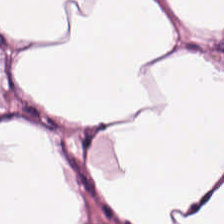224×224 px patch · hematoxylin and eosin. Predominant tissue: adipose.
